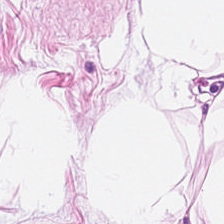Hematoxylin-and-eosin stained section.
Predominantly adipose tissue.
